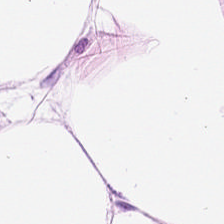H&E stain — Adipose tissue.
